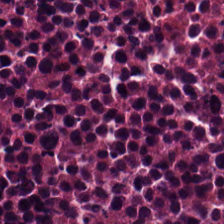H&E-stained tissue section.
Q: Identify the tissue.
A: It is cellular debris.
